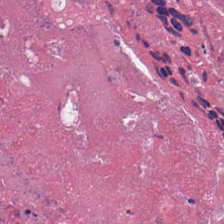Impression — debris.
